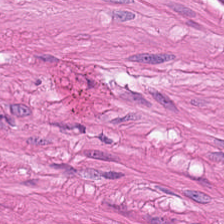H&E-stained tissue section — Impression → smooth-muscle tissue.
